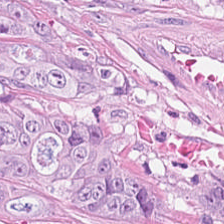H&E stain — The tissue here is tumor epithelium.
